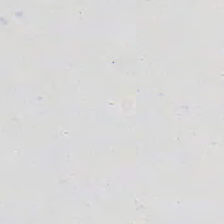0.5 µm per pixel. Hematoxylin and eosin.
Empty field — background.
